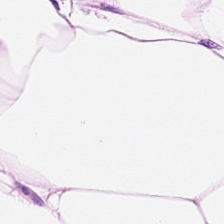Finding — adipose tissue.
